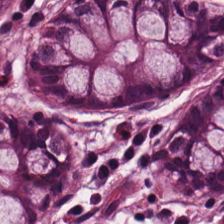H&E-stained tissue section — Q: What type of tissue is this?
A: Normal colonic mucosa.
